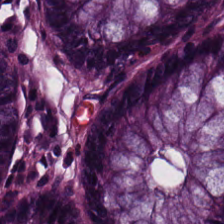Classification = normal colonic mucosa.
